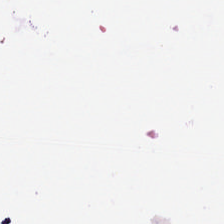H&E stain. Q: What does this patch show?
A: Empty background.
